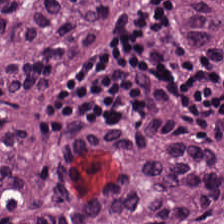224×224 px patch · H&E-stained tissue section — The predominant tissue is malignant epithelium.
